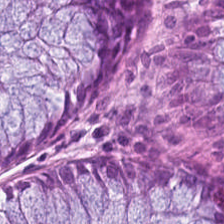Stain: hematoxylin and eosin.
Tissue type: benign colonic mucosa.
